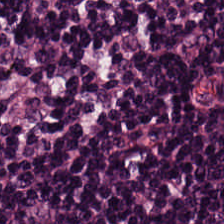H&E. {"tissue_type": "lymphocyte aggregate"}
